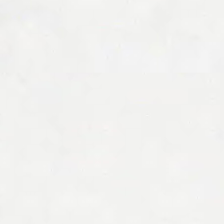Q: What is shown in this field?
A: This is background.
